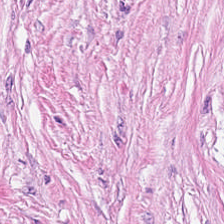This field is cancer-associated stroma.
